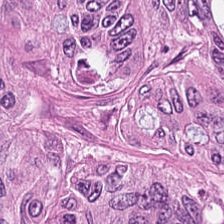H&E. The predominant tissue is malignant epithelium.
